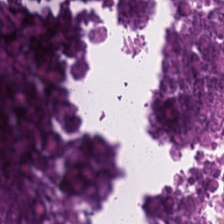H&E-stained tissue section. Q: What does this patch show?
A: Necrotic debris.
